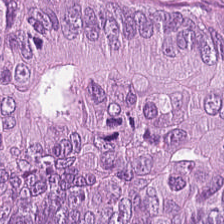H&E stain — This patch shows malignant epithelium.
